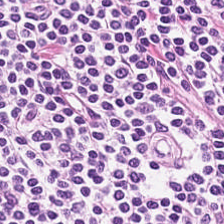H&E-stained tissue section.
Histology — lymphocyte aggregate.
